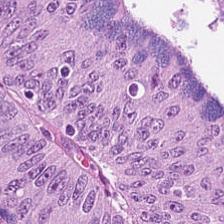Brightfield · H&E-stained tissue section. This field is tumor epithelium.
